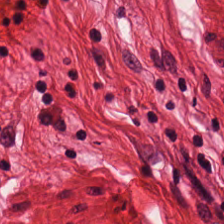Predominant tissue — smooth-muscle tissue.
